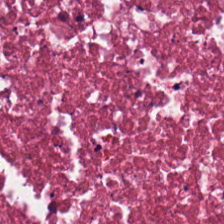WSI patch; H&E; FFPE — Predominantly necrotic debris.
